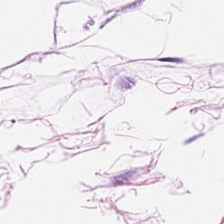Hematoxylin and eosin. Impression → adipose.
